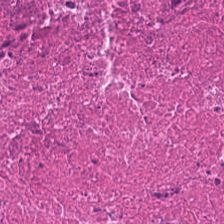H&E — {"tissue_type": "necrotic debris"}
